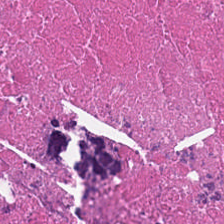Hematoxylin-and-eosin stained section. Impression → cellular debris.
